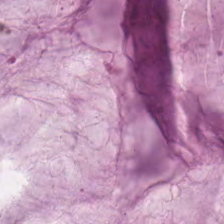Hematoxylin-and-eosin section: mucus.
